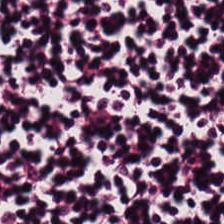Stain: hematoxylin and eosin.
Tissue type: lymphocytes.
